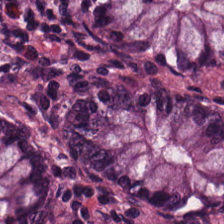Hematoxylin and eosin — Impression → benign colonic mucosa.
